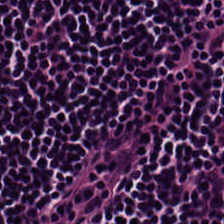Hematoxylin and eosin. 224×224 px patch.
Classification — lymphocytes.
